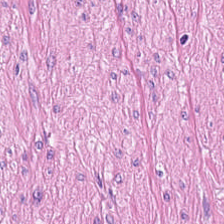0.5 microns per pixel · H&E — Muscularis.
